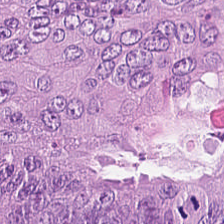Finding — colorectal adenocarcinoma epithelium.
